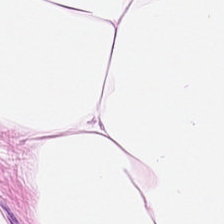FFPE; 0.5 µm per pixel; hematoxylin and eosin — Fat tissue.
